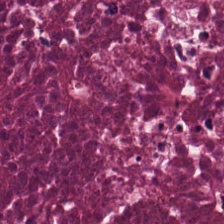FFPE · 0.5 µm per pixel · H&E stain — Q: What type of tissue is this?
A: Necrotic debris.
